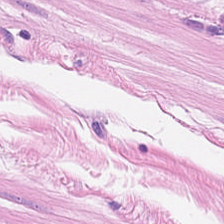{"tissue_type": "smooth-muscle tissue"}
